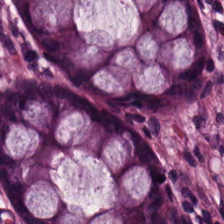H&E stain. Tissue class — normal colon mucosa.
